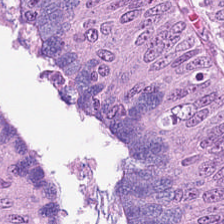Whole-slide-image patch · H&E stain · formalin-fixed paraffin-embedded section — Tissue class: adenocarcinoma.
